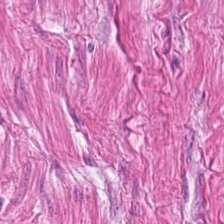FFPE tissue section. H&E — Q: What tissue type is shown here?
A: It is smooth-muscle tissue.
